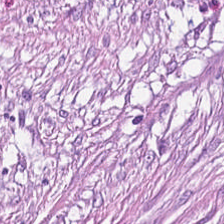Stain: H&E.
Acquisition: whole-slide-image patch.
Resolution: 0.5 µm per pixel.
Tissue: tumor-associated stroma.
